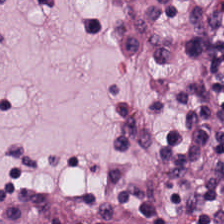{"tissue_type": "lymphocyte aggregate"}
